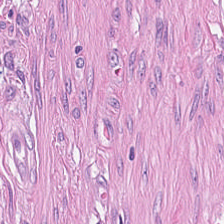Hematoxylin-and-eosin stained section · FFPE. Predominant tissue — tumor stroma.
